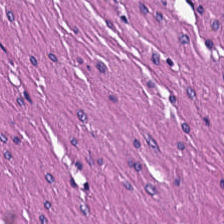The predominant tissue is muscularis.
